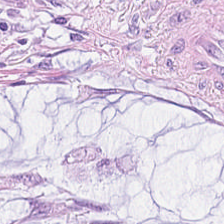Stain: hematoxylin-and-eosin stained section.
Tissue class: mucus.
